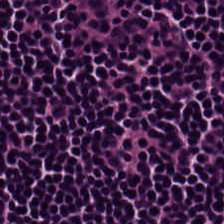Tissue = lymphocytic infiltrate.
